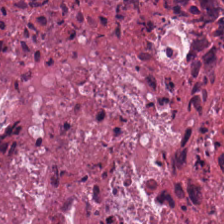H&E-stained tissue section. The classification is necrotic debris.
